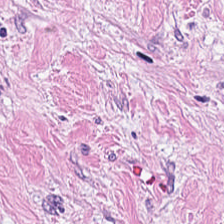WSI patch. H&E-stained tissue section — Classification — desmoplastic stroma.
